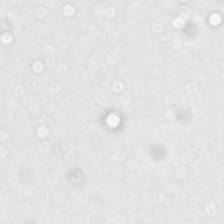H&E stain · brightfield microscopy. Field content — background (no tissue).
